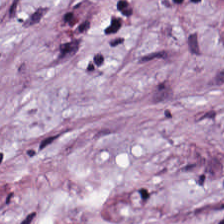Hematoxylin-and-eosin stained section. The tissue here is desmoplastic stroma.
